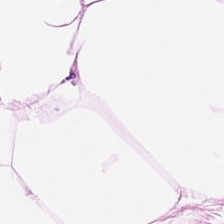{"tissue_type": "adipose tissue"}
